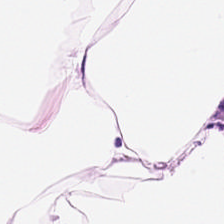H&E · 224×224 px patch · 0.5 µm per pixel.
Q: What does this patch show?
A: It is fat tissue.
